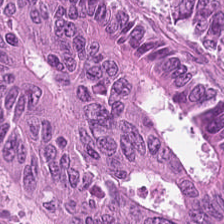Stain: H&E-stained tissue section.
Resolution: 0.5 µm per pixel.
Tissue: malignant epithelium.
